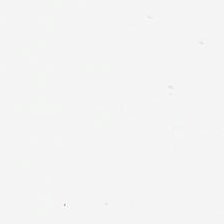H&E-stained tissue section; brightfield microscopy.
Q: What does this patch show?
A: The field shows no tissue.
